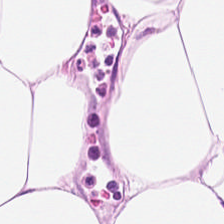0.5 microns per pixel · hematoxylin-and-eosin stained section — Histology — adipose.
